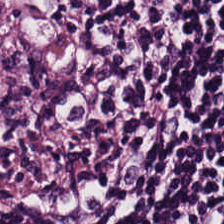H&E patch showing lymphoid infiltrate.
